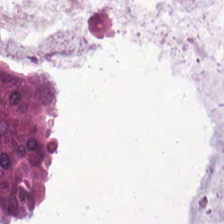Hematoxylin-and-eosin stained section.
This patch shows mucin.
